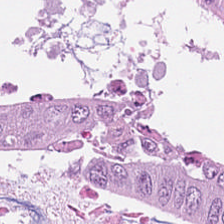Classification: malignant epithelium.
